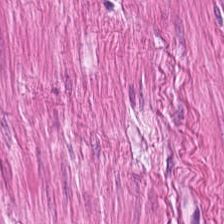FFPE tissue section · H&E · WSI patch. This field is smooth muscle.
